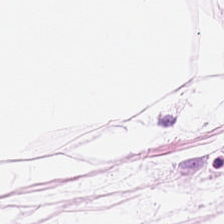H&E stain. The predominant tissue is adipocytes.
